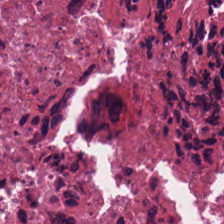H&E.
The classification is necrotic debris.
